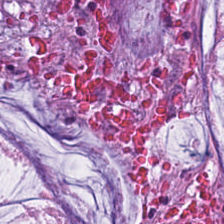Stain: hematoxylin-and-eosin stained section.
Tissue class: mucin.
